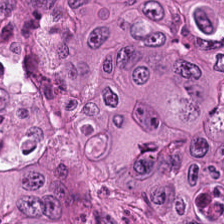Hematoxylin and eosin — Tumor epithelium.
